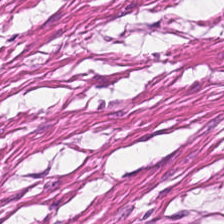H&E-stained tissue section · formalin-fixed paraffin-embedded section — Showing smooth-muscle tissue.
